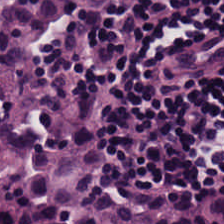Hematoxylin and eosin. 224×224 pixel tile — Predominant tissue — lymphocytic infiltrate.
